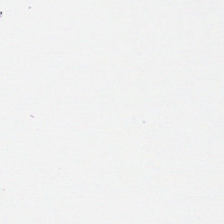H&E-stained tissue section. Background — no tissue in this field.
